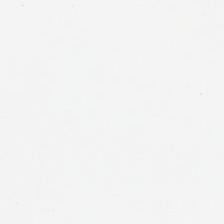H&E stain. 224×224 pixel tile. FFPE. No tissue present; background only.
